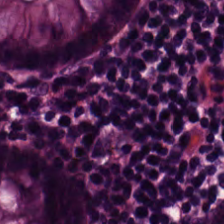Whole-slide-image patch; H&E stain; 224×224 px patch.
Tissue — non-neoplastic colon mucosa.
